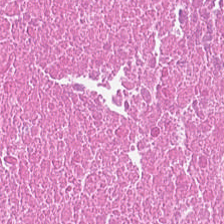WSI patch · hematoxylin and eosin · 0.5 µm/px — The predominant tissue is cellular debris.
